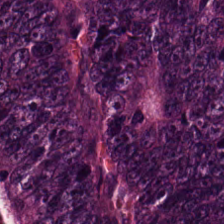FFPE · hematoxylin and eosin — The predominant tissue is colorectal adenocarcinoma.
